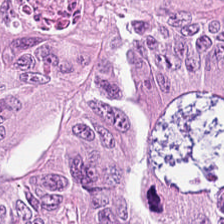H&E stain. Predominant tissue = adenocarcinoma.
